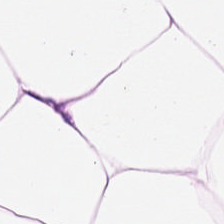Hematoxylin and eosin · WSI patch — This field is adipose tissue.
